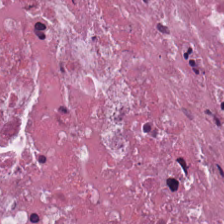0.5 microns per pixel; H&E-stained tissue section; 224×224 px tile — The tissue type is necrotic debris.
